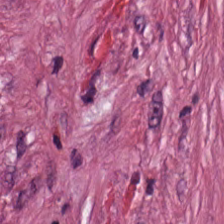Stain: hematoxylin and eosin.
Tile size: 224×224 px tile.
Acquisition: brightfield microscopy.
Tissue class: tumor stroma.
